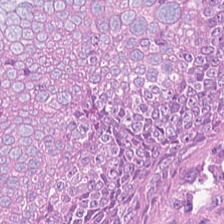Tissue: colorectal adenocarcinoma epithelium.
